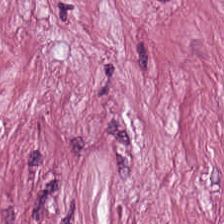H&E stain. Tissue type — tumor-associated stroma.
